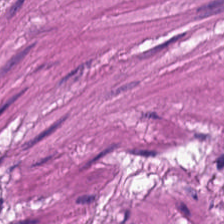H&E stain. Brightfield microscopy.
Tissue class: smooth-muscle tissue.
